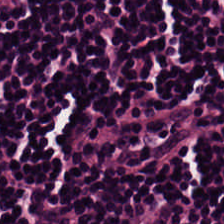Q: What tissue type is shown here?
A: This is lymphocytes.
